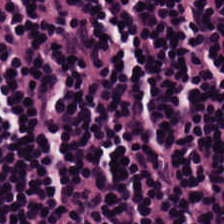Formalin-fixed paraffin-embedded section; hematoxylin-and-eosin stained section. This field is lymphoid infiltrate.
